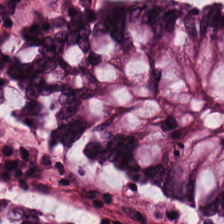This patch shows non-neoplastic colon mucosa.
